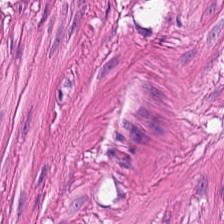H&E-stained tissue section.
Showing smooth-muscle tissue.
